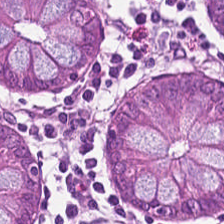Hematoxylin and eosin. The predominant tissue is normal colonic mucosa.
